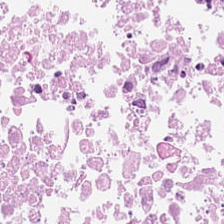224×224 px patch · H&E. Cellular debris.
